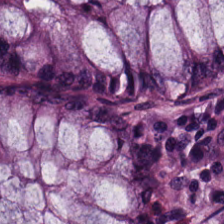H&E stain.
This field is normal colon mucosa.
